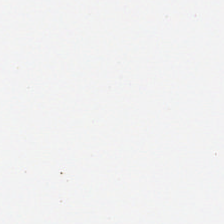H&E stain — Field content = background (no tissue).
